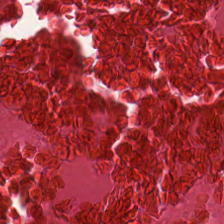H&E stain — {"tissue_type": "cellular debris"}
